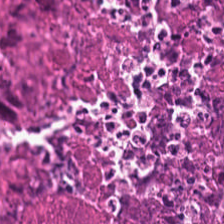Stain: hematoxylin-and-eosin stained section.
Tissue type: necrotic debris.
